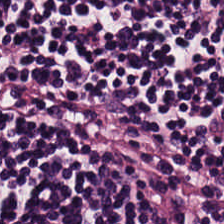H&E — The predominant tissue is lymphocytic infiltrate.
